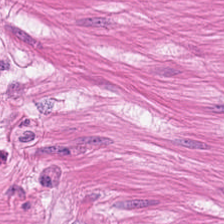Hematoxylin-and-eosin stained section.
This patch shows muscularis.
